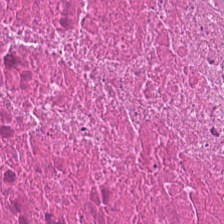H&E-stained tissue section. Brightfield — Finding → necrotic debris.
